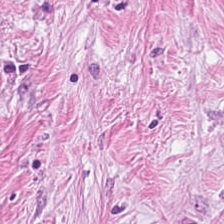H&E — tumor stroma.
